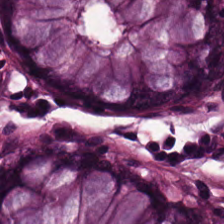224×224 pixel tile. Hematoxylin-and-eosin stained section. Tissue type = benign colonic mucosa.
